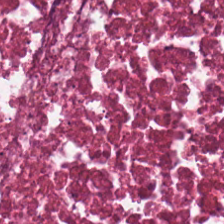H&E-stained tissue section showing necrotic debris.
